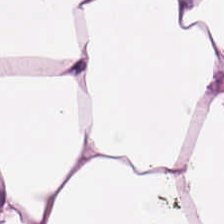Hematoxylin and eosin. Predominant tissue — adipose.
